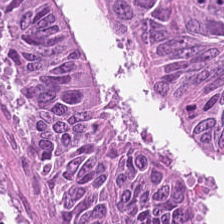H&E — Tissue class = colorectal adenocarcinoma epithelium.
